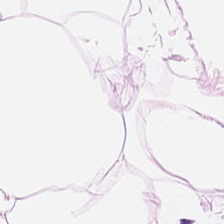H&E — Tissue class — fat tissue.
